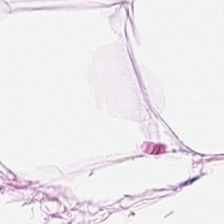H&E-stained tissue section · WSI patch. Classification: fat tissue.
